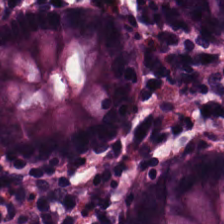Finding → benign colonic mucosa.
